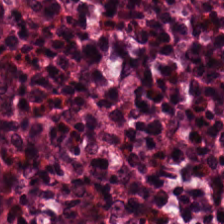Hematoxylin-and-eosin stained section — Q: Classify this patch.
A: This is non-neoplastic colon mucosa.
